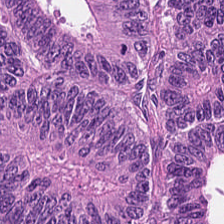H&E stain.
Finding → colorectal adenocarcinoma.
